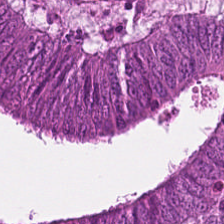H&E — Q: Classify this patch.
A: Malignant epithelium.
